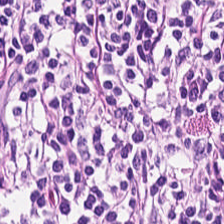Hematoxylin and eosin. Classification: lymphoid infiltrate.
